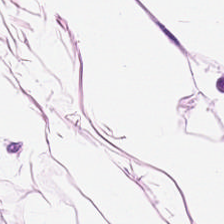Tissue type: adipocytes.
